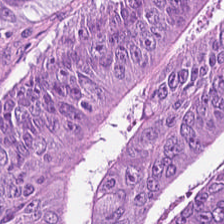Stain: H&E-stained tissue section.
Predominant tissue: malignant epithelium.
